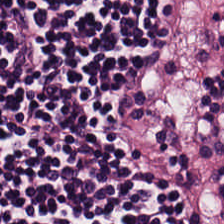H&E. 224×224 pixel tile.
Tissue class — lymphocytes.
